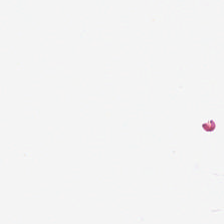Formalin-fixed paraffin-embedded section · H&E-stained tissue section · 224×224 px tile — Classification — empty background.
